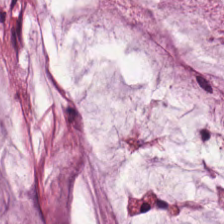H&E. Brightfield microscopy. 0.5 microns per pixel.
Tissue type: mucin.
